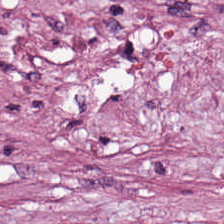20× equivalent magnification · hematoxylin and eosin. Q: Identify the tissue.
A: It is tumor-associated stroma.
